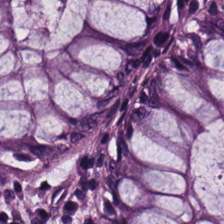FFPE · H&E. This patch shows benign colonic mucosa.
